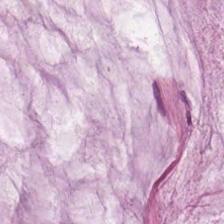Whole-slide-image patch; hematoxylin-and-eosin stained section.
Impression — extracellular mucin.
